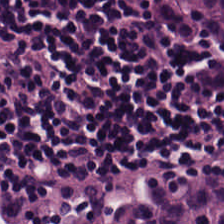Stain: H&E-stained tissue section.
Resolution: 20× equivalent magnification.
Tissue type: lymphocyte aggregate.
